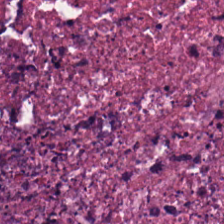H&E.
Predominantly cellular debris.
